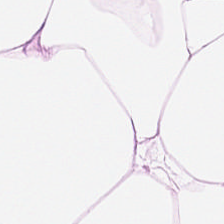H&E stain · 224×224 pixel tile. Classification — adipose.
